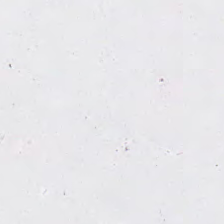Brightfield · hematoxylin and eosin — Empty field — background (no tissue).
